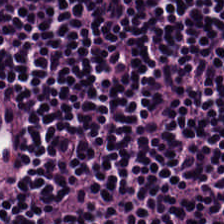0.5 µm per pixel; hematoxylin-and-eosin stained section — The tissue is lymphoid infiltrate.
